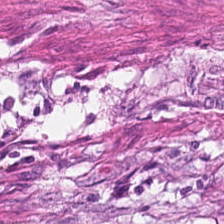Whole-slide-image patch · H&E-stained tissue section — The predominant tissue is cancer-associated stroma.
